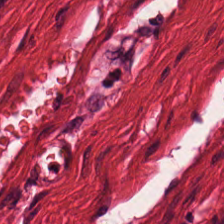The predominant tissue is muscularis.
